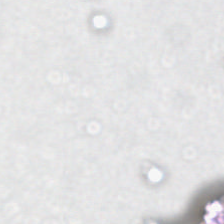Q: What is shown in this field?
A: This is no tissue.
